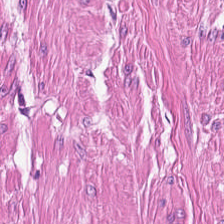224×224 px tile; hematoxylin and eosin.
Q: What is shown here?
A: Smooth-muscle tissue.
